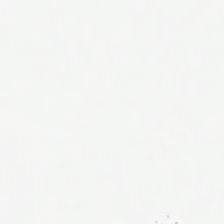Hematoxylin-and-eosin stained section; 20× equivalent magnification. Finding — background.
